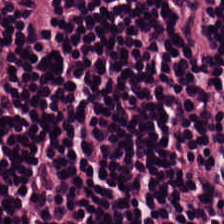Stain: H&E-stained tissue section.
Acquisition: WSI patch.
Predominant tissue: lymphocytes.
